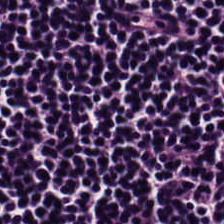Stain: hematoxylin-and-eosin stained section.
Predominant tissue: lymphocyte aggregate.
